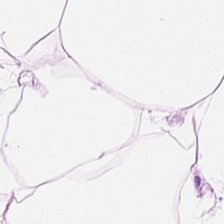Hematoxylin-and-eosin stained section. Q: What tissue is shown?
A: This is adipocytes.
